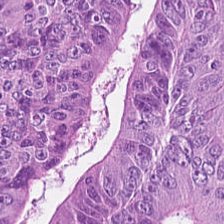H&E. Whole-slide-image patch — {"tissue_type": "colorectal adenocarcinoma epithelium"}
